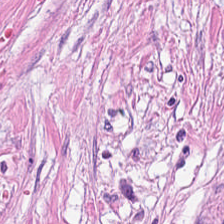224×224 px tile · hematoxylin and eosin · brightfield. Q: What is shown here?
A: The field shows cancer-associated stroma.
